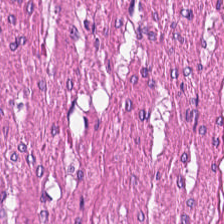H&E-stained section; the field shows smooth muscle.
